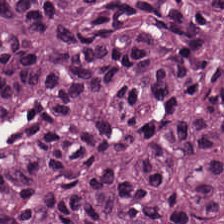Hematoxylin-and-eosin stained section.
This patch shows colorectal adenocarcinoma epithelium.
